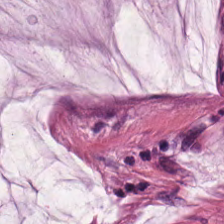Histology — extracellular mucin.
